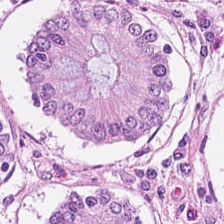H&E-stained tissue section.
Predominantly normal colon mucosa.
